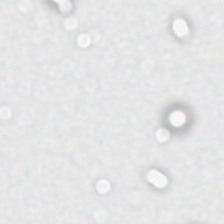The field content is empty background.
